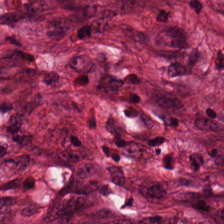H&E-stained tissue section · whole-slide-image patch. This patch shows desmoplastic stroma.
